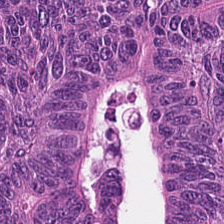Hematoxylin-and-eosin stained section — Q: What is shown in this field?
A: This is colorectal adenocarcinoma epithelium.
